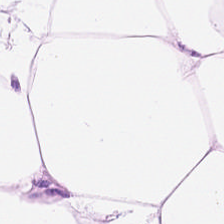{"tissue_type": "adipose tissue"}
